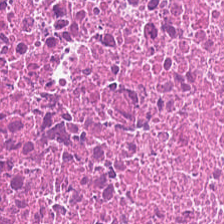0.5 µm per pixel; hematoxylin-and-eosin stained section. Q: What tissue type is shown here?
A: This is debris.
